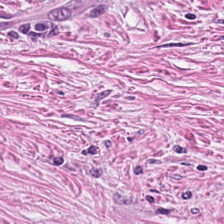Hematoxylin-and-eosin stained section. Q: What type of tissue is this?
A: It is tumor-associated stroma.
